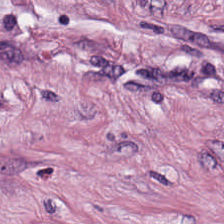Stain: hematoxylin and eosin.
Tissue: tumor-associated stroma.
